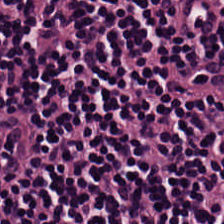224×224 px patch; H&E stain.
The predominant tissue is lymphoid infiltrate.
